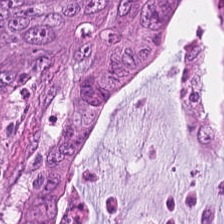Formalin-fixed paraffin-embedded section · hematoxylin and eosin — Tissue — tumor epithelium.
